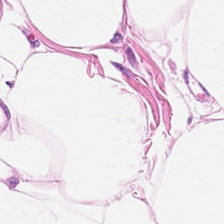Hematoxylin and eosin. Predominant tissue — adipose tissue.
